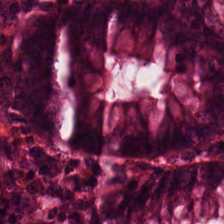H&E stain. 224×224 px patch — Q: Identify the tissue.
A: The field shows non-neoplastic colon mucosa.
